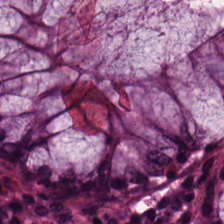H&E; 0.5 microns per pixel.
Classification: non-neoplastic colon mucosa.
